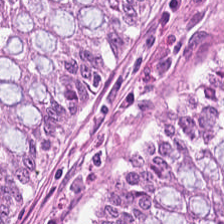Brightfield microscopy · hematoxylin and eosin.
Normal colonic mucosa.
